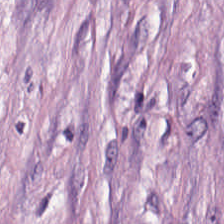Tissue class = desmoplastic stroma.
